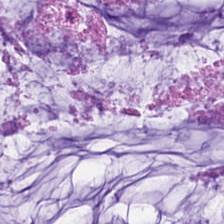H&E patch showing mucin.
